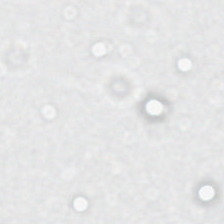Hematoxylin and eosin.
Background — no tissue in this field.
